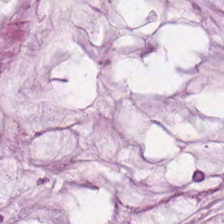H&E-stained tissue section.
Q: What tissue type is shown here?
A: Mucus.
